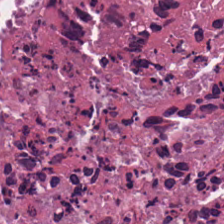Hematoxylin-and-eosin stained section. The classification is cellular debris.
